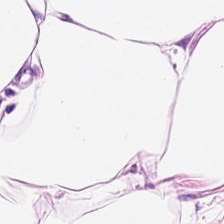20× equivalent magnification. H&E — Q: What does this patch show?
A: Adipose tissue.
